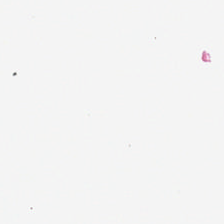H&E stain. Q: Classify this patch.
A: It is background.
